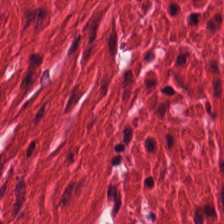H&E-stained tissue section; FFPE — Classification: smooth muscle.
